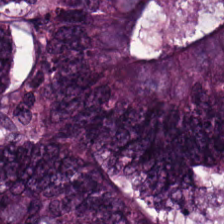H&E-stained tissue section.
Q: Identify the tissue.
A: Malignant epithelium.
